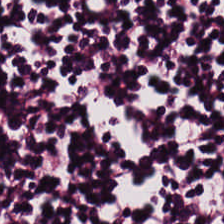H&E stain — Classification: lymphocyte aggregate.
